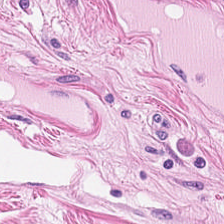Hematoxylin-and-eosin section: muscularis.
